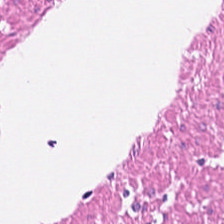H&E; 224×224 pixel tile.
Impression → smooth muscle.
